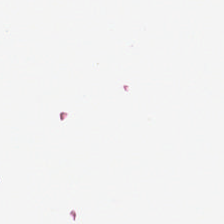224×224 pixel tile · H&E — Histology → background (no tissue).
